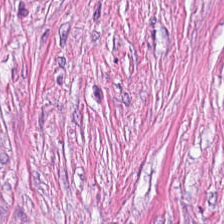Hematoxylin and eosin — Q: What tissue is shown?
A: The field shows tumor-associated stroma.
